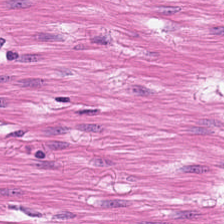FFPE tissue section; brightfield; H&E-stained tissue section — This patch shows smooth-muscle tissue.
